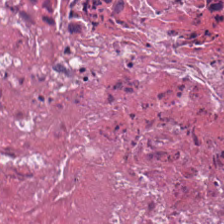H&E-stained tissue section — Tissue class — cellular debris.
